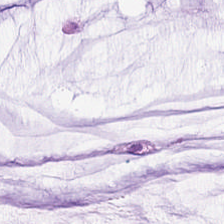The predominant tissue is mucus.
